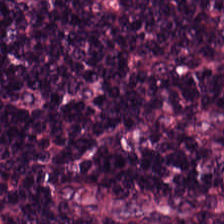Stain: H&E.
Tissue: lymphocyte aggregate.
